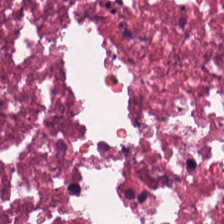H&E · brightfield microscopy. {"tissue_type": "debris"}
